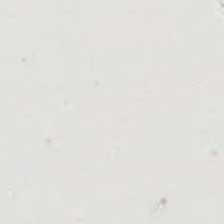WSI patch; H&E stain.
Classification = no tissue.
